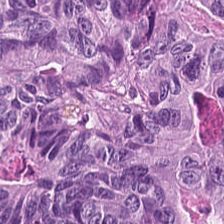FFPE. Brightfield microscopy. H&E stain. Showing colorectal adenocarcinoma.
